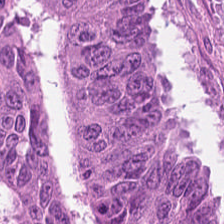224×224 px tile. Hematoxylin and eosin.
Tissue type — tumor epithelium.
